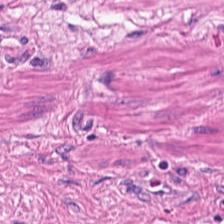Q: Identify the tissue.
A: This is smooth muscle.
